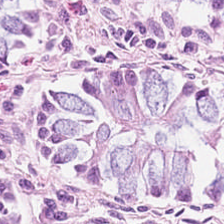Hematoxylin-and-eosin stained section.
{"tissue_type": "non-neoplastic colon mucosa"}
